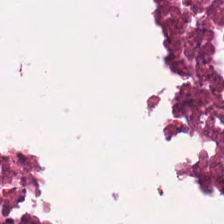WSI patch · hematoxylin and eosin.
Tissue: debris.
